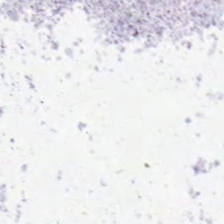No tissue present; background only.
